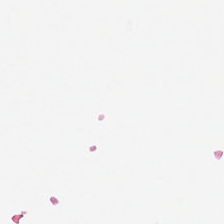H&E-stained tissue section.
Impression — no tissue.
